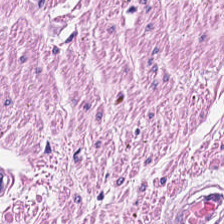0.5 µm per pixel. H&E-stained tissue section — Q: What does this patch show?
A: Muscularis.
